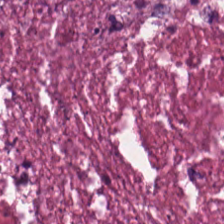Formalin-fixed paraffin-embedded section. H&E stain — The tissue here is cellular debris.
